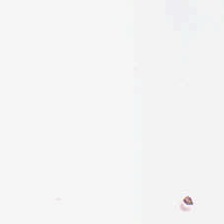Stain: hematoxylin-and-eosin stained section.
Resolution: 0.5 µm/px.
Content: background (no tissue).
